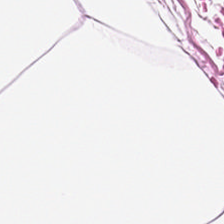This field is fat tissue.
